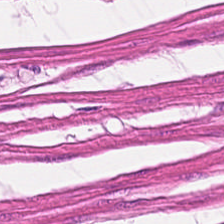H&E.
This patch shows muscularis.
